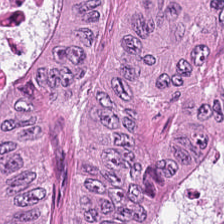H&E. FFPE — Predominantly malignant epithelium.
